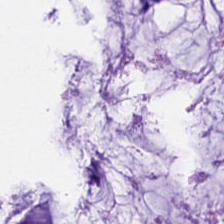H&E stain; 224×224 px patch — Predominantly extracellular mucin.
